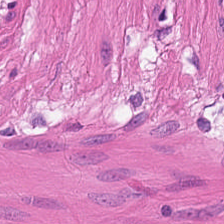Hematoxylin-and-eosin stained section — Predominantly muscularis.
